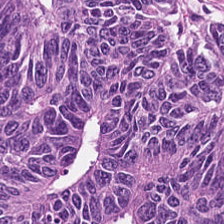Stain: H&E-stained tissue section.
Tissue type: colorectal adenocarcinoma.
